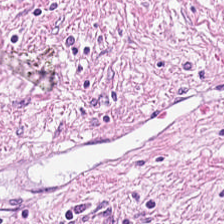H&E stain. Q: What does this patch show?
A: Cancer-associated stroma.
